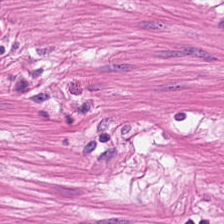H&E stain. FFPE tissue section. The predominant tissue is smooth muscle.
